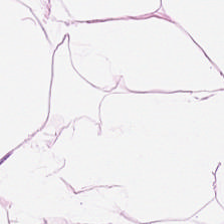Hematoxylin and eosin · WSI patch.
Histology — adipose tissue.
